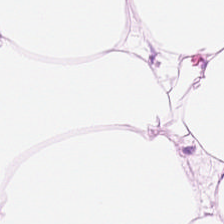Stain: H&E.
Tissue type: adipose tissue.
